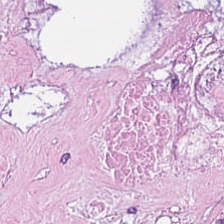This patch shows necrotic debris.
